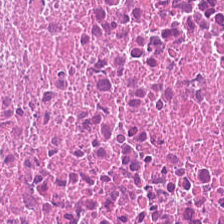Hematoxylin-and-eosin stained section · 224×224 px patch.
The tissue is debris.
